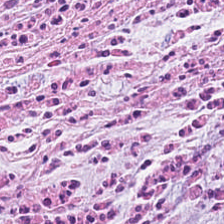H&E stain; FFPE tissue section.
Classification = tumor-associated stroma.
